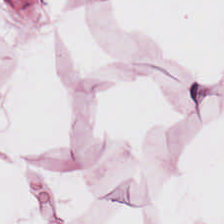Adipose.
